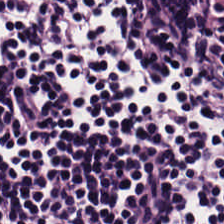FFPE tissue section. Hematoxylin and eosin.
Tissue — lymphocyte aggregate.
